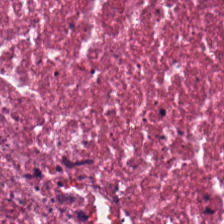Classification: cellular debris.
